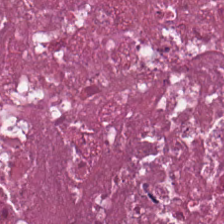{"tissue_type": "necrotic debris"}
